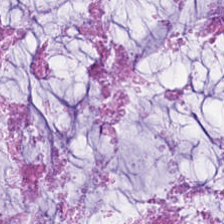H&E patch showing mucus.
